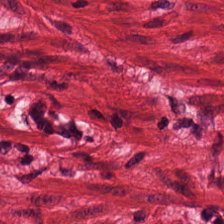Hematoxylin and eosin.
Tissue: smooth muscle.
